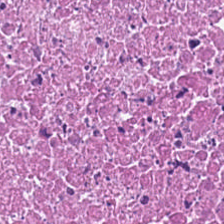Formalin-fixed paraffin-embedded section. H&E stain.
Finding → cellular debris.
